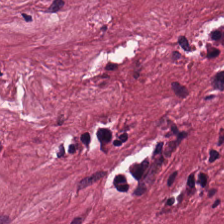Hematoxylin-and-eosin stained section; 224×224 px tile; brightfield — Predominantly cancer-associated stroma.
